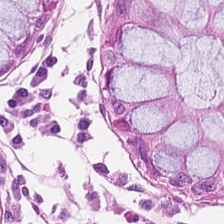H&E-stained tissue section. Q: Identify the tissue.
A: It is benign colonic mucosa.
